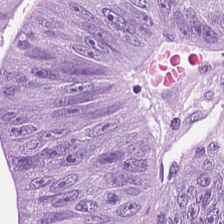Stain: hematoxylin-and-eosin stained section.
Resolution: 0.5 microns per pixel.
Classification: adenocarcinoma.
